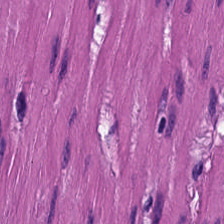Stain: hematoxylin and eosin.
Preparation: formalin-fixed paraffin-embedded section.
Resolution: 0.5 microns per pixel.
Classification: muscularis.
